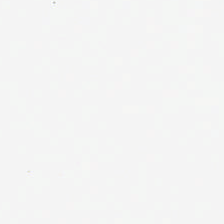This field is background (no tissue).
